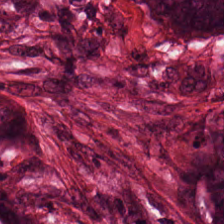Hematoxylin and eosin — The tissue is malignant epithelium.
